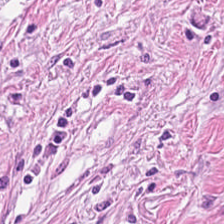0.5 µm/px · hematoxylin and eosin. Classification: tumor-associated stroma.
